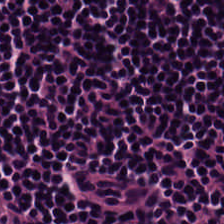Q: What type of tissue is this?
A: This is lymphocyte aggregate.
